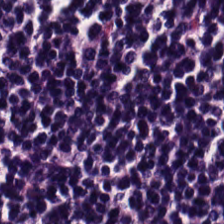Stain: H&E-stained tissue section.
Resolution: 0.5 µm/px.
Tissue class: lymphoid infiltrate.
